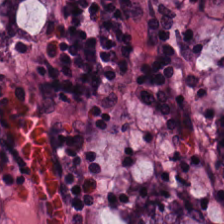H&E stain. WSI patch. Predominant tissue = normal colonic mucosa.
